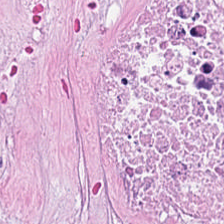Hematoxylin-and-eosin stained section. Q: Classify this patch.
A: The field shows debris.
